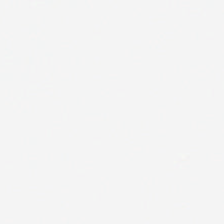Q: Classify this patch.
A: It is background (no tissue).
